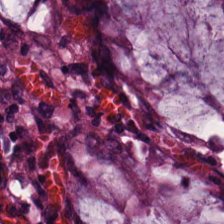Hematoxylin and eosin.
{"tissue_type": "non-neoplastic colon mucosa"}
